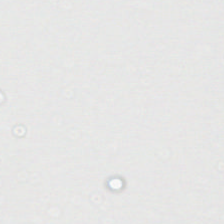Finding — background.
